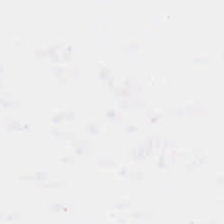Stain: H&E-stained tissue section.
Resolution: 20× equivalent magnification.
Field content: no tissue.
